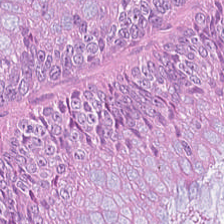H&E-stained tissue section — Predominantly colorectal adenocarcinoma epithelium.
